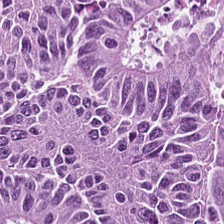Stain: H&E.
Tissue: tumor epithelium.
